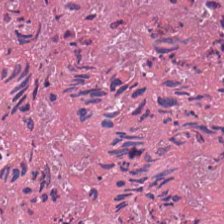224×224 pixel tile · hematoxylin-and-eosin stained section. Predominantly debris.
